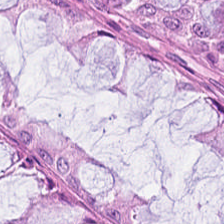H&E-stained section; the field shows normal colon mucosa.
